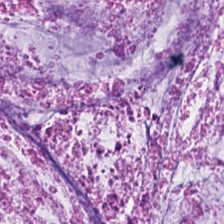224×224 pixel tile; brightfield; hematoxylin and eosin — Predominantly mucin.
